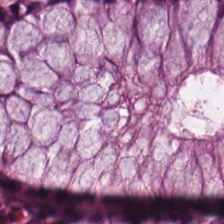H&E stain.
Histology — normal colon mucosa.
